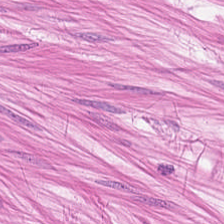The tissue class is smooth muscle.
